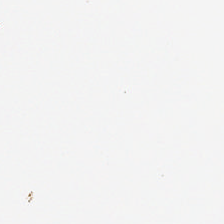Impression → background (no tissue).
